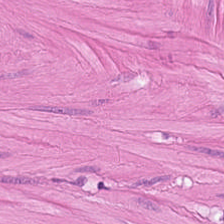H&E stain; whole-slide-image patch. Q: What tissue is shown?
A: It is smooth-muscle tissue.
